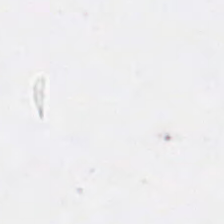Hematoxylin-and-eosin stained section.
Finding → no tissue.
